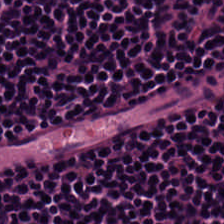H&E stain.
The tissue here is lymphocyte aggregate.
